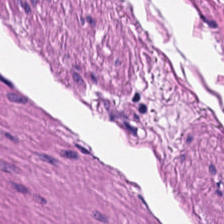Stain: H&E.
Tissue class: muscularis.
